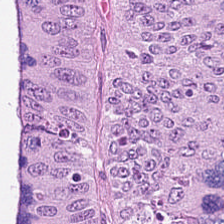This field is malignant epithelium.
